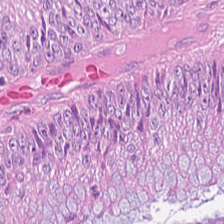Showing adenocarcinoma.
